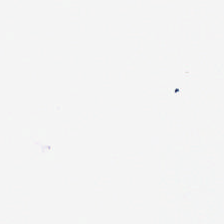H&E. WSI patch. 224×224 px patch. Content — empty background.
